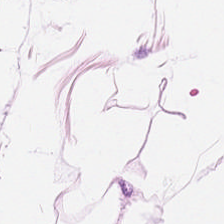Hematoxylin and eosin.
Impression — adipocytes.
